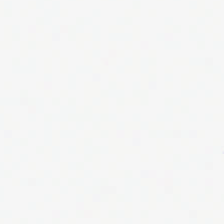H&E · brightfield.
Q: What does this patch show?
A: It is background (no tissue).
